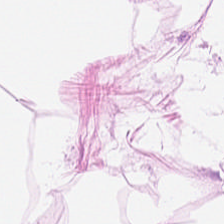H&E-stained tissue section. The tissue class is fat tissue.
